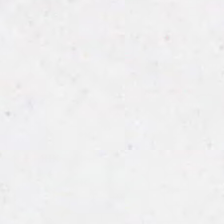Histology → background (no tissue).
